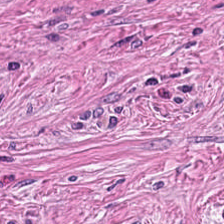Hematoxylin-and-eosin stained section — Cancer-associated stroma.
